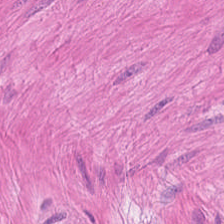Finding → smooth muscle.
